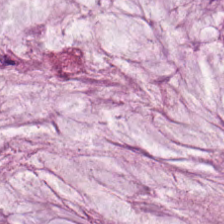H&E — Tissue class — extracellular mucin.
